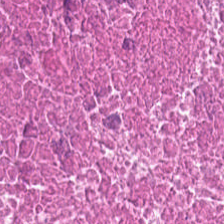H&E-stained tissue section — This patch shows cellular debris.
